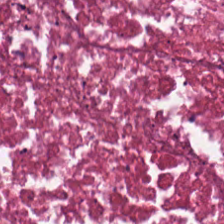Tissue class = cellular debris.
